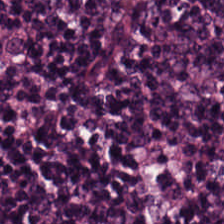Q: What does this patch show?
A: The field shows lymphoid infiltrate.
